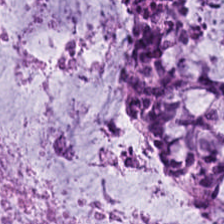H&E — Mucin.
